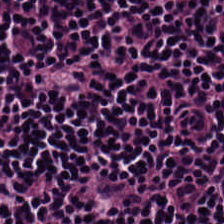Formalin-fixed paraffin-embedded section. H&E stain. 224×224 px patch. {"tissue_type": "lymphocytic infiltrate"}
